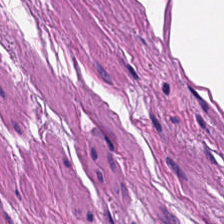0.5 microns per pixel; FFPE; H&E-stained tissue section — Smooth-muscle tissue.
